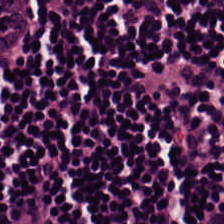H&E-stained tissue section — The tissue here is lymphocyte aggregate.
